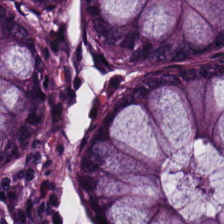Stain: H&E.
Predominant tissue: benign colonic mucosa.
